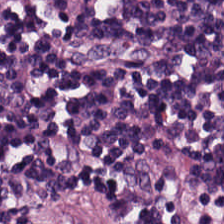H&E stain. 224×224 pixel tile. 0.5 microns per pixel. {"tissue_type": "lymphoid infiltrate"}
